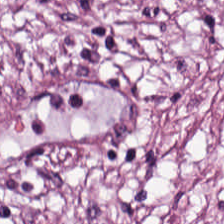Predominantly tumor-associated stroma.
